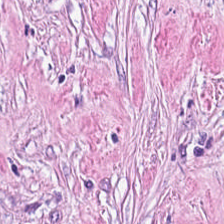FFPE; H&E-stained tissue section; 224×224 px tile.
The predominant tissue is tumor stroma.
